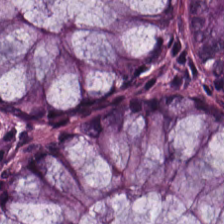Formalin-fixed paraffin-embedded section. Hematoxylin and eosin — Classification — non-neoplastic colon mucosa.
